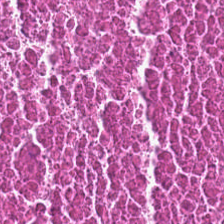Stain: H&E stain.
Tissue: cellular debris.
